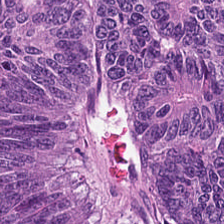H&E.
Q: Identify the tissue.
A: Tumor epithelium.
